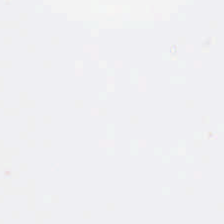Stain: H&E.
Tile size: 224×224 px tile.
Acquisition: WSI patch.
Field content: empty background.
